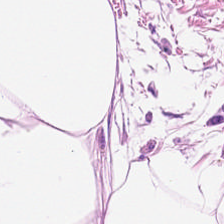Tissue: adipose tissue.
